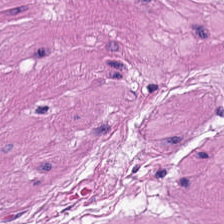Brightfield microscopy · 0.5 µm per pixel · hematoxylin and eosin. Showing smooth-muscle tissue.
